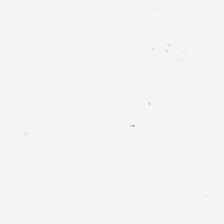H&E-stained tissue section — This patch shows no tissue.
